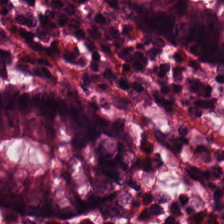Hematoxylin-and-eosin stained section.
Q: What is the predominant tissue type?
A: This is normal colon mucosa.
